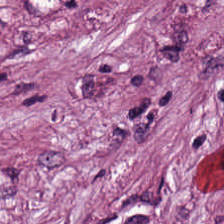Showing cancer-associated stroma.
